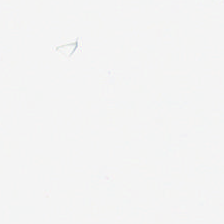Hematoxylin and eosin · 0.5 microns per pixel · 224×224 pixel tile. Content — background.
